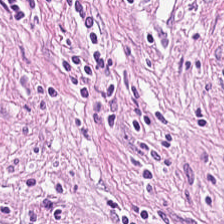Tissue type — desmoplastic stroma.
